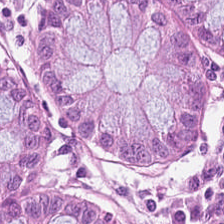H&E stain. Tissue: normal colonic mucosa.
